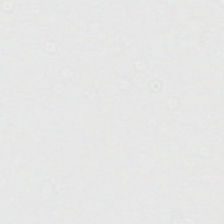Hematoxylin and eosin; FFPE tissue section — This patch shows no tissue.
